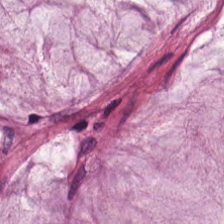This field is mucin.
